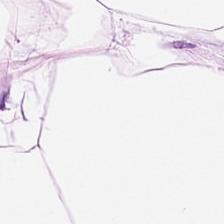H&E-stained tissue section — This field is adipocytes.
